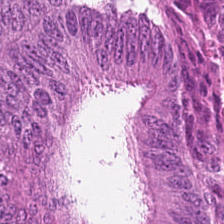H&E-stained tissue section. Q: What does this patch show?
A: This is colorectal adenocarcinoma.
